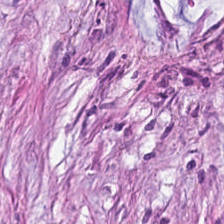This patch shows tumor stroma.
